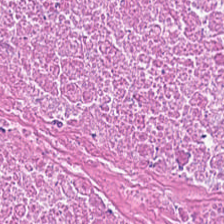H&E · 224×224 px tile — The classification is cellular debris.
